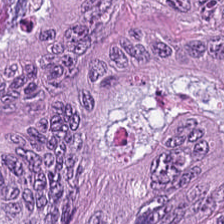H&E-stained tissue section — Q: What does this patch show?
A: The field shows colorectal adenocarcinoma.
